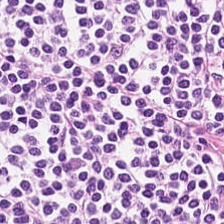H&E-stained tissue section · 0.5 microns per pixel.
The classification is lymphocytes.
